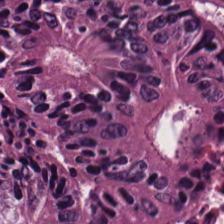Tissue — colorectal adenocarcinoma epithelium.
